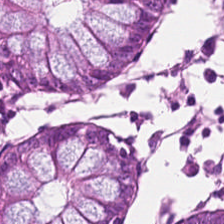FFPE tissue section. H&E. 224×224 px patch.
The tissue here is normal colonic mucosa.
